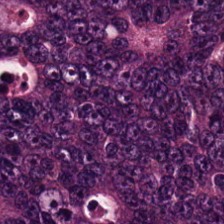Stain: hematoxylin-and-eosin stained section.
Classification: malignant epithelium.
